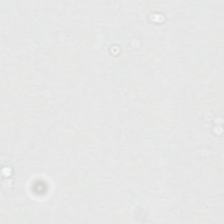Hematoxylin-and-eosin stained section; FFPE tissue section; whole-slide-image patch. {"content": "empty background"}
